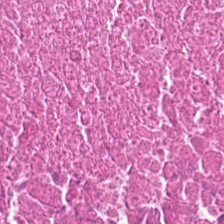Hematoxylin-and-eosin stained section. 0.5 microns per pixel. 224×224 px tile.
This patch shows cellular debris.
